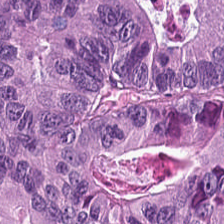Q: What tissue type is shown here?
A: This is malignant epithelium.
